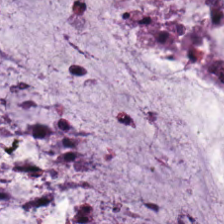H&E stain.
Mucin.
